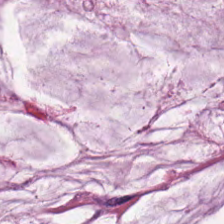WSI patch · hematoxylin-and-eosin stained section — Classification — mucus.
